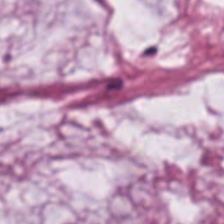Predominant tissue — mucus.
